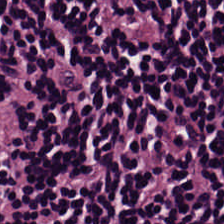H&E stain. The predominant tissue is lymphocyte aggregate.
